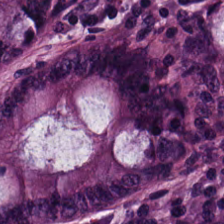FFPE tissue section; H&E-stained tissue section. Predominantly normal colonic mucosa.
